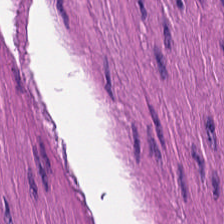Hematoxylin-and-eosin stained section. Impression — smooth muscle.
